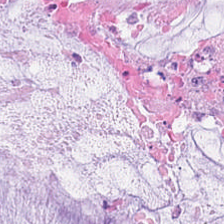0.5 µm per pixel; hematoxylin-and-eosin stained section.
{"tissue_type": "mucus"}
